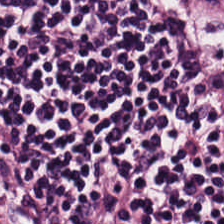Q: What tissue type is shown here?
A: The field shows lymphocytes.
